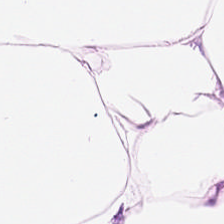Stain: H&E.
Classification: adipose tissue.
